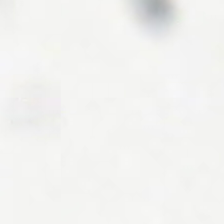The field content is empty background.
